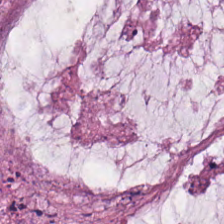H&E — mucus.
